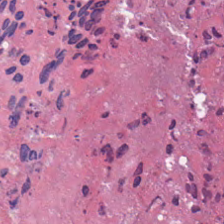{"tissue_type": "cellular debris"}
